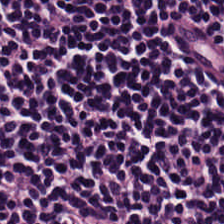Hematoxylin-and-eosin stained section.
The tissue here is lymphocyte aggregate.
